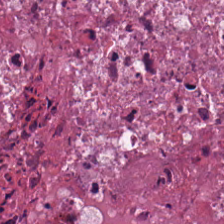{"tissue_type": "debris"}
